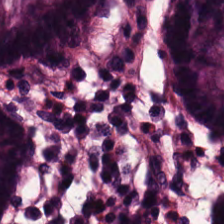Stain: H&E.
Tile size: 224×224 px tile.
Tissue type: non-neoplastic colon mucosa.
